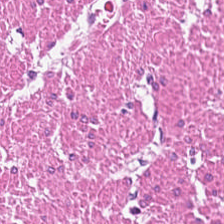Finding → muscularis.
